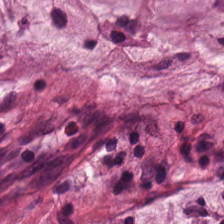Hematoxylin and eosin.
The tissue class is mucin.
